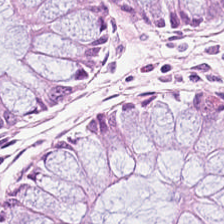H&E-stained tissue section showing benign colonic mucosa.
